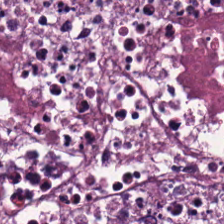Whole-slide-image patch · H&E-stained tissue section. Impression → debris.
